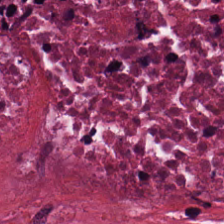The classification is debris.
